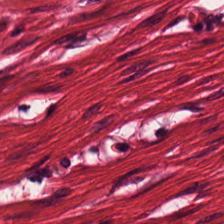H&E.
Smooth-muscle tissue.
